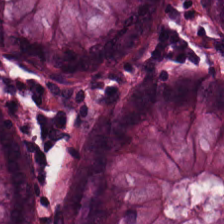0.5 µm per pixel · hematoxylin-and-eosin stained section. Normal colon mucosa.
